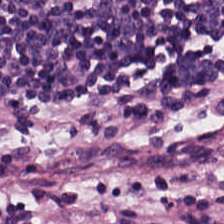H&E-stained tissue section. Brightfield — Tissue class: lymphocyte aggregate.
